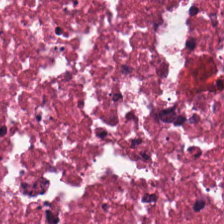The predominant tissue is debris.
